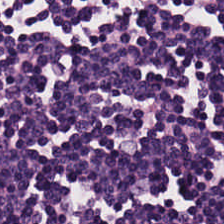Histology — lymphoid infiltrate.
